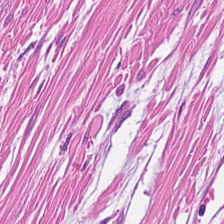Hematoxylin and eosin. Predominantly smooth-muscle tissue.
